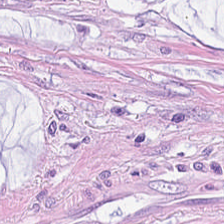H&E · 224×224 pixel tile.
This field is extracellular mucin.
